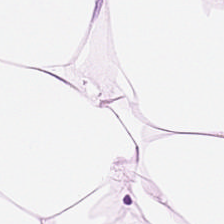H&E. Predominantly adipocytes.
